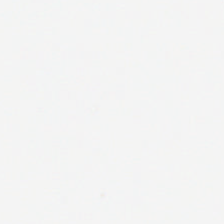H&E-stained tissue section. 224×224 pixel tile. The classification is empty background.
